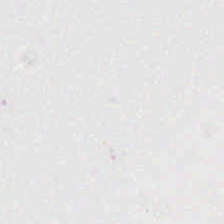H&E-stained tissue section. FFPE — Q: What is shown in this field?
A: It is empty background.
